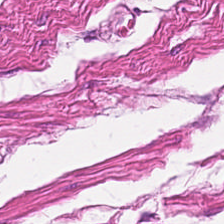Q: What is shown here?
A: Muscularis.
